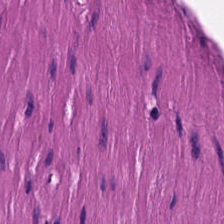Hematoxylin and eosin. FFPE. Whole-slide-image patch — This patch shows muscularis.
